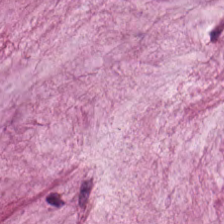H&E — mucin.
